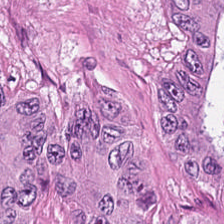H&E stain — Impression — colorectal adenocarcinoma epithelium.
